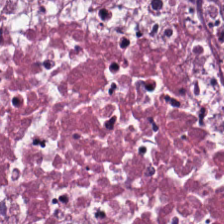This field is necrotic debris.
